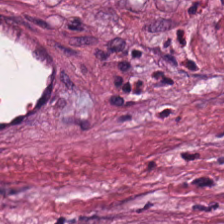H&E-stained tissue section. The tissue here is tumor-associated stroma.
